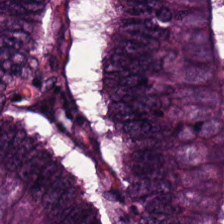Stain: H&E.
Tile size: 224×224 pixel tile.
Classification: adenocarcinoma.
